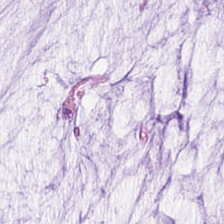H&E.
{"tissue_type": "mucus"}
